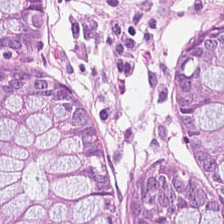H&E; FFPE. This patch shows benign colonic mucosa.
